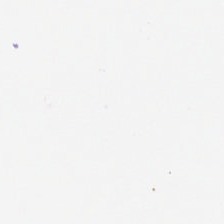Histology → empty background.
